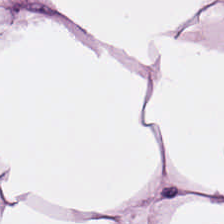The tissue here is adipocytes.
